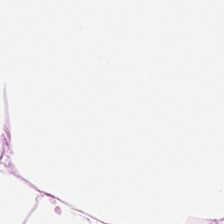Hematoxylin-and-eosin stained section · whole-slide-image patch — Finding — fat tissue.
